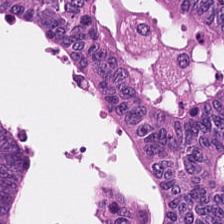This patch shows adenocarcinoma.
